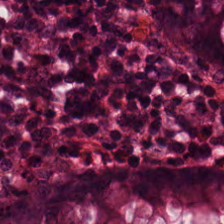WSI patch · H&E stain — Tissue — benign colonic mucosa.
